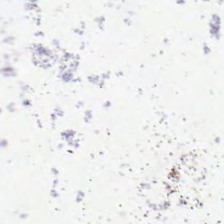Hematoxylin-and-eosin stained section.
Empty field — no tissue.
